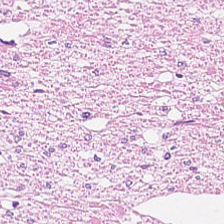Hematoxylin-and-eosin stained section — Q: What is shown here?
A: The field shows smooth-muscle tissue.
